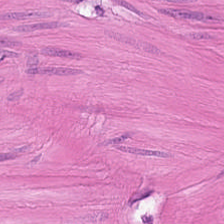H&E-stained tissue section showing smooth muscle.
